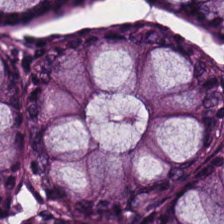H&E-stained tissue section. 0.5 microns per pixel — Q: Classify this patch.
A: The field shows normal colonic mucosa.
